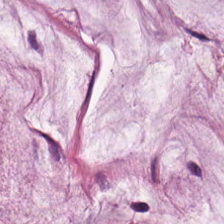Formalin-fixed paraffin-embedded section. H&E stain.
Q: What does this patch show?
A: Mucin.
